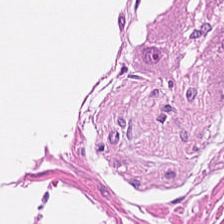H&E — The tissue is muscularis.
